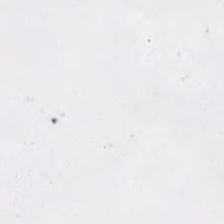Hematoxylin and eosin. The classification is no tissue.
